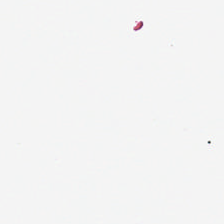0.5 µm/px; hematoxylin-and-eosin stained section; FFPE.
The classification is background (no tissue).
